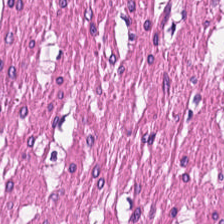Tissue class: smooth muscle.
